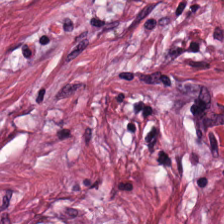This field is tumor stroma.
